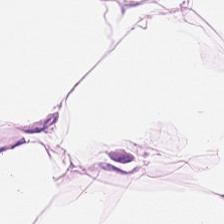Hematoxylin and eosin; 224×224 pixel tile; brightfield.
Tissue type — adipose tissue.
